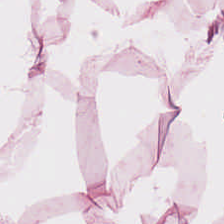H&E; 0.5 µm per pixel.
Tissue: adipose.
